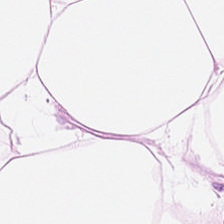Q: What is shown in this field?
A: It is adipose tissue.
